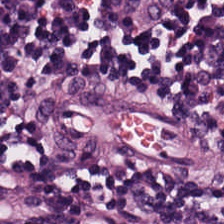Hematoxylin-and-eosin stained section. 0.5 µm/px. Brightfield microscopy. This field is lymphocytes.
